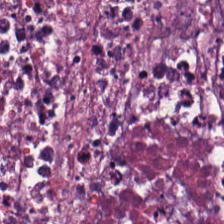Histology → cellular debris.
